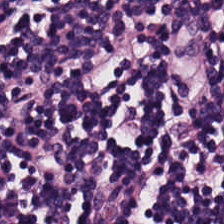Predominantly lymphocyte aggregate.
